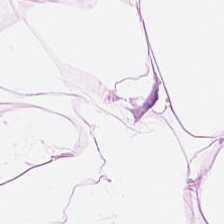Hematoxylin-and-eosin stained section — Classification: adipose.
